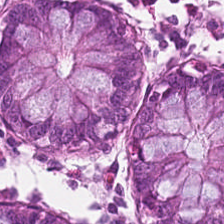224×224 px patch; hematoxylin-and-eosin stained section.
Q: Identify the tissue.
A: The field shows normal colonic mucosa.
